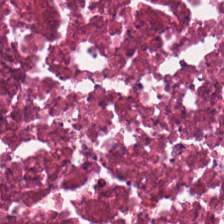H&E-stained tissue section. FFPE tissue section — Histology — necrotic debris.
